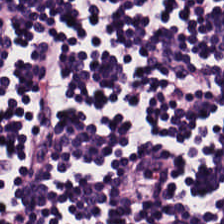The predominant tissue is lymphocytes.
